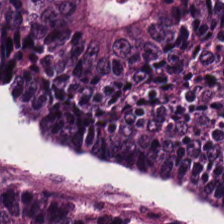H&E. Q: What does this patch show?
A: Malignant epithelium.
